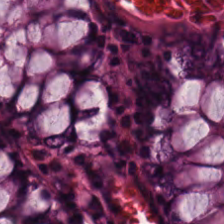Whole-slide-image patch; H&E stain; 0.5 µm per pixel.
Tissue = benign colonic mucosa.
